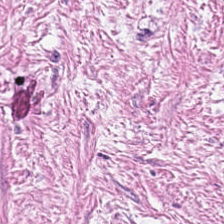Classification: tumor stroma.
